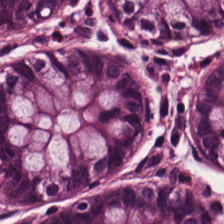Stain: H&E.
Resolution: 0.5 µm per pixel.
Tissue type: normal colon mucosa.
